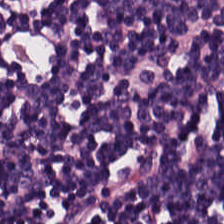H&E.
The tissue here is lymphocytic infiltrate.
